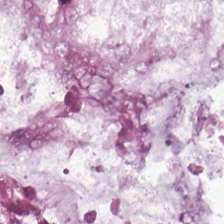Q: What does this patch show?
A: This is mucin.
